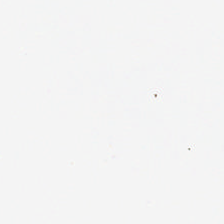H&E — Q: What is shown here?
A: It is background (no tissue).
